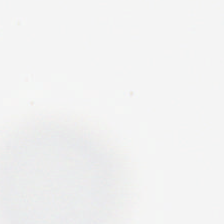Empty field — no tissue.
